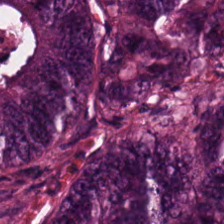H&E. Impression → malignant epithelium.
